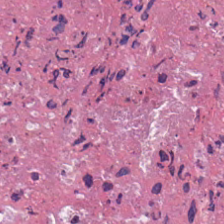Formalin-fixed paraffin-embedded section. Hematoxylin and eosin.
This patch shows necrotic debris.
